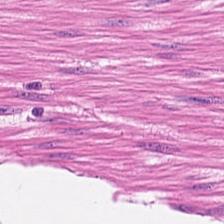0.5 µm/px; hematoxylin and eosin; 224×224 px tile — Q: What is shown in this field?
A: It is smooth-muscle tissue.
